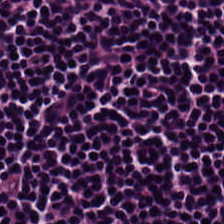Hematoxylin-and-eosin stained section — Predominantly lymphoid infiltrate.
